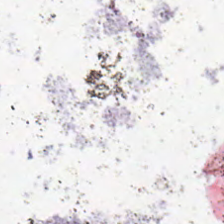WSI patch. H&E stain.
Field content: empty background.
